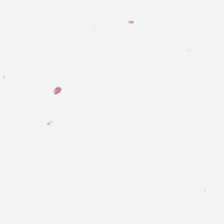Stain: H&E-stained tissue section.
Content: no tissue.
